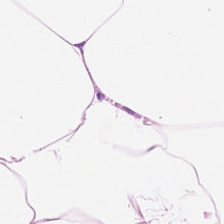Hematoxylin-and-eosin stained section. 0.5 microns per pixel.
Classification: adipose tissue.
